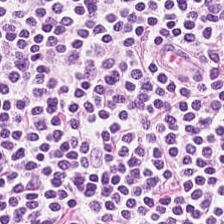Stain: hematoxylin and eosin.
Preparation: FFPE tissue section.
Classification: lymphocytes.
